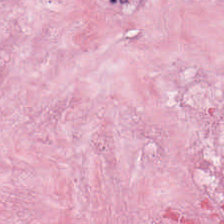Finding → desmoplastic stroma.
